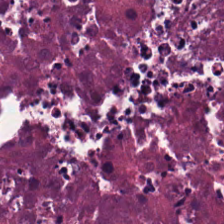Tissue type — debris.
